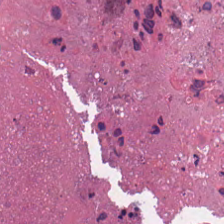Hematoxylin-and-eosin stained section. 224×224 pixel tile — This field is debris.
